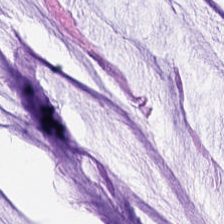H&E stain · formalin-fixed paraffin-embedded section · 0.5 µm per pixel.
The tissue is mucin.
